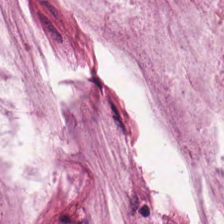Brightfield microscopy · 0.5 µm per pixel · hematoxylin-and-eosin stained section — Mucin.
